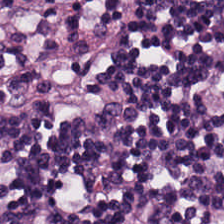The tissue here is lymphocytic infiltrate.
